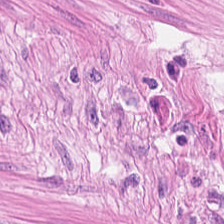H&E stain. 20× equivalent magnification. FFPE tissue section.
The tissue here is smooth muscle.
